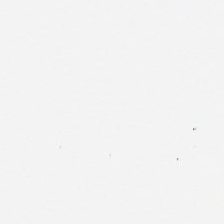Impression → background.
